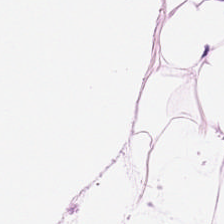Q: What is shown here?
A: This is adipose.
